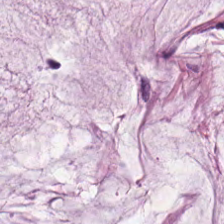Hematoxylin and eosin · 0.5 microns per pixel — Q: Identify the tissue.
A: Mucin.
